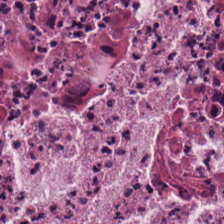Hematoxylin-and-eosin stained section · 224×224 pixel tile — Q: Identify the tissue.
A: It is debris.
